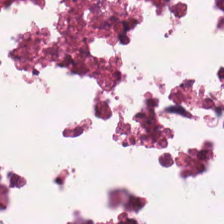224×224 px tile. Hematoxylin and eosin.
Classification = debris.
